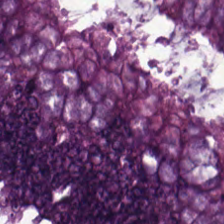H&E-stained tissue section — The tissue here is tumor epithelium.
